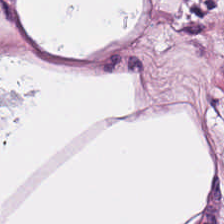Hematoxylin and eosin.
Tissue = fat tissue.
